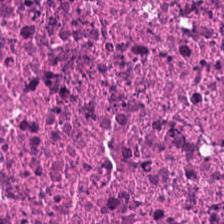20× equivalent magnification; H&E-stained tissue section.
Q: Identify the tissue.
A: The field shows debris.
